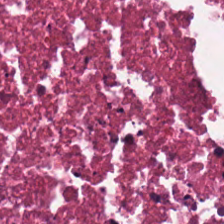Stain: H&E.
Tile size: 224×224 px tile.
Tissue class: necrotic debris.
